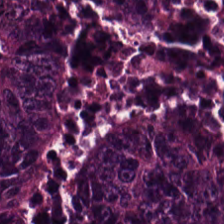H&E-stained tissue section. Q: What is shown in this field?
A: It is adenocarcinoma.
